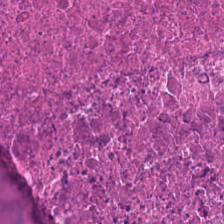H&E; 0.5 µm/px — Showing necrotic debris.
